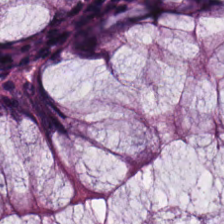H&E-stained tissue section — Tissue type — non-neoplastic colon mucosa.
